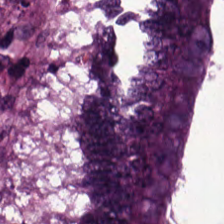FFPE. H&E-stained tissue section. 224×224 px patch. Tissue class: colorectal adenocarcinoma.
